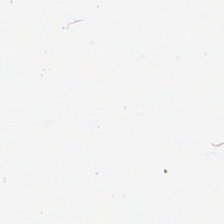Whole-slide-image patch. H&E stain. Q: Identify the tissue.
A: Adipose tissue.
